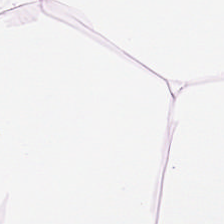20× equivalent magnification · H&E · brightfield microscopy. {"tissue_type": "adipose"}
